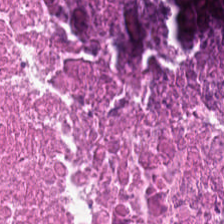Hematoxylin-and-eosin stained section. 0.5 microns per pixel — The tissue here is necrotic debris.
